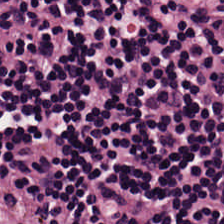H&E · brightfield · 0.5 µm per pixel. Lymphocyte aggregate.
